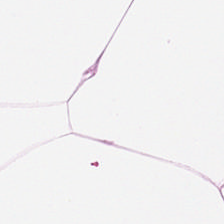Hematoxylin and eosin.
Tissue = fat tissue.
